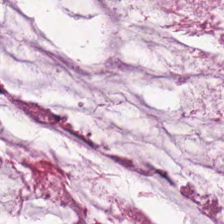H&E — Mucus.
